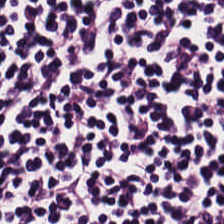H&E — Impression — lymphocytes.
